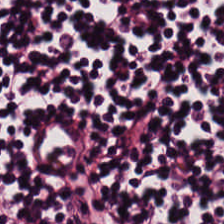Hematoxylin and eosin; 224×224 pixel tile.
Predominantly lymphocytes.
